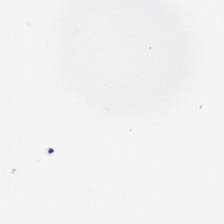H&E.
Background — no tissue in this field.
